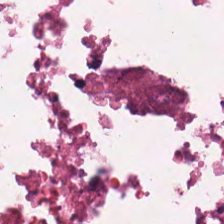WSI patch. H&E stain.
Q: What tissue type is shown here?
A: The field shows cellular debris.
